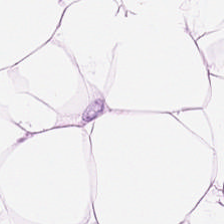Q: What tissue is shown?
A: Fat tissue.
